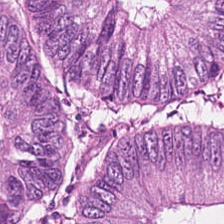Q: What is shown in this field?
A: The field shows colorectal adenocarcinoma.
